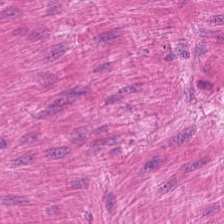H&E stain.
This field is muscularis.
